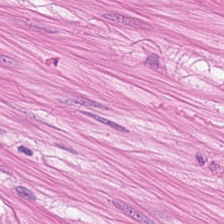H&E-stained tissue section. Classification = smooth muscle.
